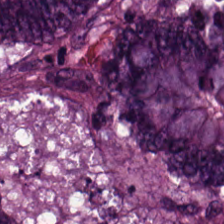H&E-stained tissue section · brightfield · FFPE — Histology → colorectal adenocarcinoma epithelium.
